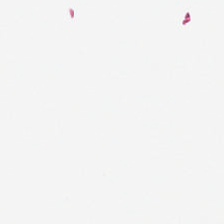H&E-stained tissue section — Empty field — background (no tissue).
